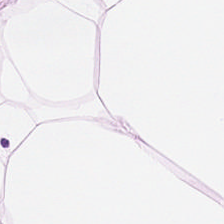224×224 px tile. Hematoxylin-and-eosin stained section.
{"tissue_type": "fat tissue"}
